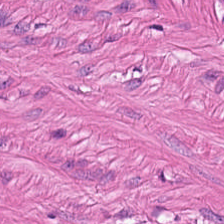Whole-slide-image patch; H&E; 0.5 µm per pixel — Q: What does this patch show?
A: This is smooth muscle.
